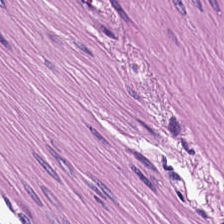H&E stain.
The tissue type is smooth-muscle tissue.
